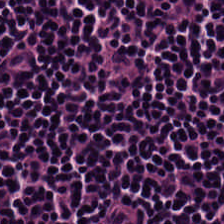H&E stain; 0.5 µm per pixel — Showing lymphoid infiltrate.
